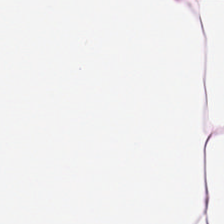Histology → adipose.
